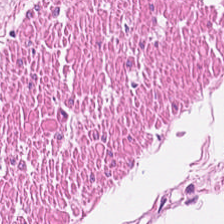Hematoxylin and eosin · 224×224 px tile — The predominant tissue is smooth muscle.
